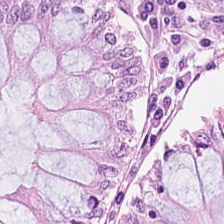Hematoxylin-and-eosin stained section. The predominant tissue is non-neoplastic colon mucosa.
